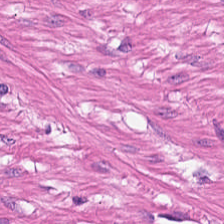Formalin-fixed paraffin-embedded section · hematoxylin-and-eosin stained section.
Finding → muscularis.
